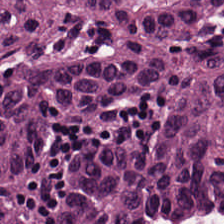Hematoxylin-and-eosin stained section. Formalin-fixed paraffin-embedded section.
The tissue here is adenocarcinoma.
